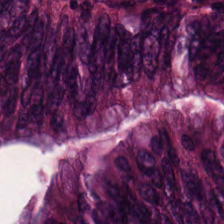0.5 µm per pixel · hematoxylin-and-eosin stained section — The tissue here is tumor epithelium.
